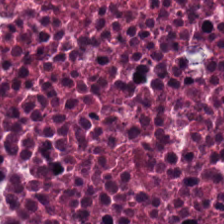Stain: hematoxylin-and-eosin stained section.
Tile size: 224×224 px tile.
Resolution: 0.5 microns per pixel.
Predominant tissue: necrotic debris.
